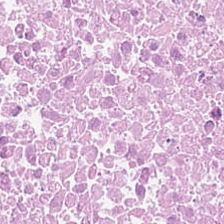Hematoxylin and eosin.
Tissue = necrotic debris.
